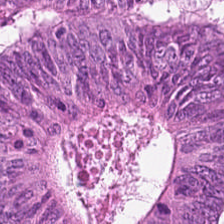Showing adenocarcinoma.
